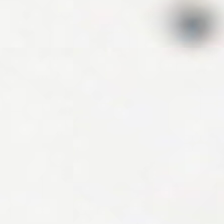0.5 microns per pixel · formalin-fixed paraffin-embedded section · hematoxylin-and-eosin stained section.
The classification is no tissue.
